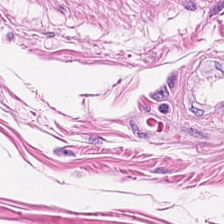Hematoxylin-and-eosin stained section — Predominantly muscularis.
